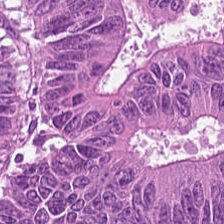224×224 pixel tile · H&E-stained tissue section. Q: What tissue type is shown here?
A: The field shows adenocarcinoma.
